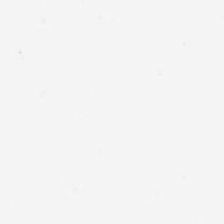Stain: H&E stain.
Tile size: 224×224 px patch.
Classification: no tissue.
